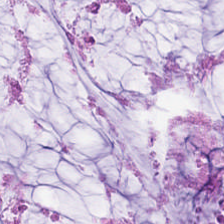Hematoxylin-and-eosin stained section.
Tissue class = extracellular mucin.
